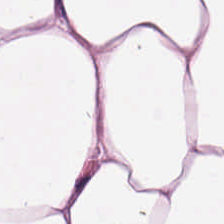Showing adipose tissue.
